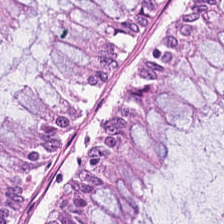Hematoxylin and eosin. 20× equivalent magnification — Finding — normal colon mucosa.
